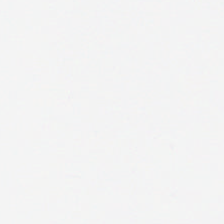Empty field — background (no tissue).
